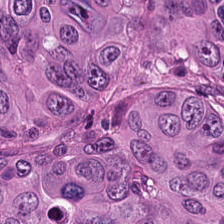Q: What is shown in this field?
A: The field shows adenocarcinoma.
